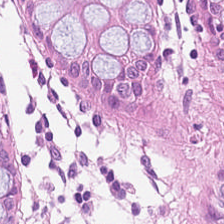Tissue — benign colonic mucosa.
